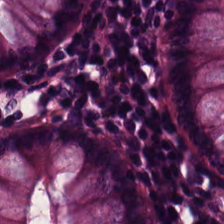Classification — normal colonic mucosa.
